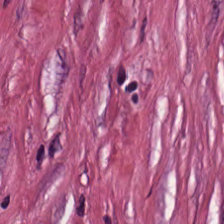Formalin-fixed paraffin-embedded section · H&E — This field is desmoplastic stroma.
